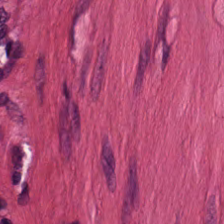Hematoxylin-and-eosin stained section; 0.5 microns per pixel — Impression — smooth-muscle tissue.
